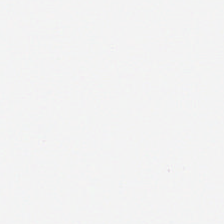H&E. 224×224 pixel tile. 0.5 µm per pixel.
The classification is empty background.
